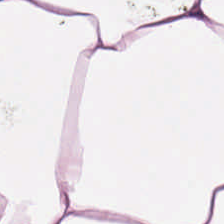H&E stain — Adipose.
